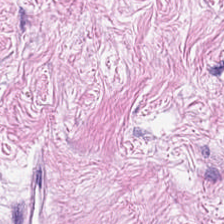Hematoxylin and eosin.
Q: What type of tissue is this?
A: Desmoplastic stroma.
